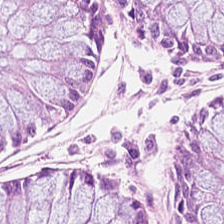FFPE tissue section · hematoxylin-and-eosin stained section. Non-neoplastic colon mucosa.
